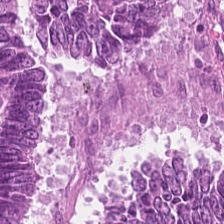H&E.
Q: What tissue is shown?
A: It is colorectal adenocarcinoma epithelium.
